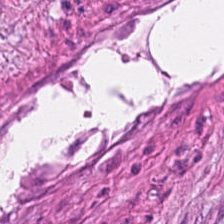Stain: hematoxylin-and-eosin stained section.
Classification: cancer-associated stroma.
